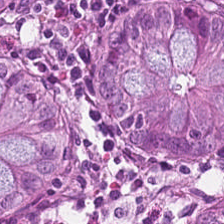Classification — normal colon mucosa.
